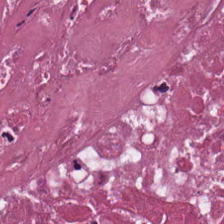Hematoxylin and eosin. Predominant tissue = necrotic debris.
